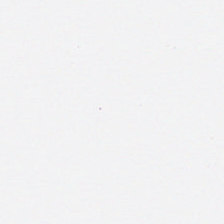H&E stain. {"content": "background"}
